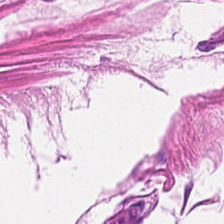Stain: hematoxylin and eosin.
Acquisition: whole-slide-image patch.
Tile size: 224×224 px tile.
Tissue type: smooth muscle.
